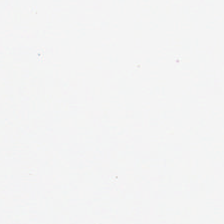WSI patch · H&E-stained tissue section. Classification — background (no tissue).
